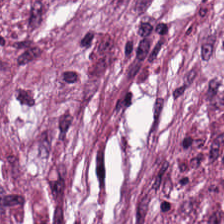20× equivalent magnification; FFPE; hematoxylin and eosin.
Tumor stroma.
